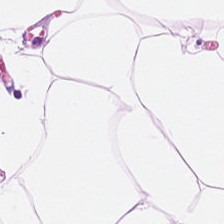20× equivalent magnification. H&E.
Predominantly fat tissue.
